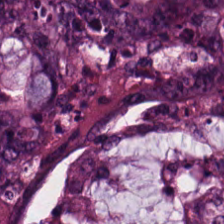H&E. {"tissue_type": "colorectal adenocarcinoma"}
